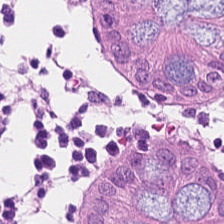H&E-stained tissue section showing normal colonic mucosa.
